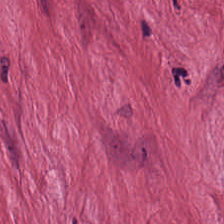The predominant tissue is cancer-associated stroma.
